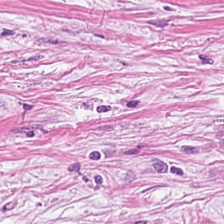Hematoxylin and eosin. Q: Identify the tissue.
A: This is tumor-associated stroma.
